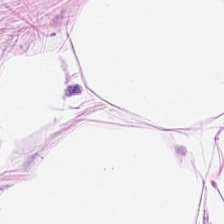Hematoxylin-and-eosin stained section.
This field is adipocytes.
